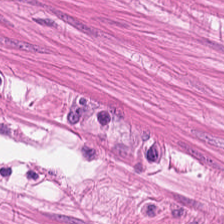0.5 µm/px; hematoxylin-and-eosin stained section — This field is smooth-muscle tissue.
